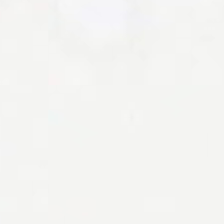H&E; 224×224 pixel tile.
No tissue present; background only.
